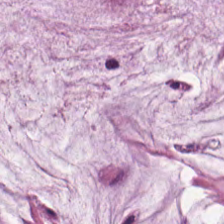Hematoxylin-and-eosin stained section.
Predominantly extracellular mucin.
